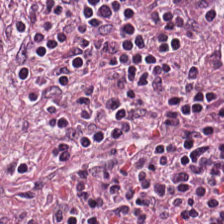Stain: H&E-stained tissue section.
Tissue type: lymphocytic infiltrate.
